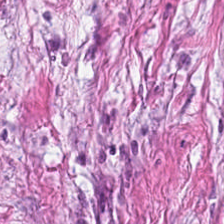0.5 µm per pixel · 224×224 pixel tile · H&E — Q: What is shown in this field?
A: It is tumor-associated stroma.
